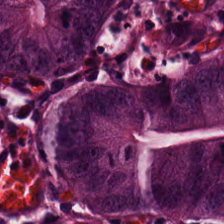Hematoxylin-and-eosin stained section. Brightfield.
Q: What is shown in this field?
A: The field shows colorectal adenocarcinoma epithelium.
